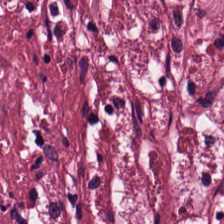Hematoxylin-and-eosin stained section; 224×224 px tile.
Histology — desmoplastic stroma.
